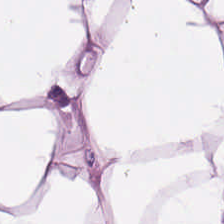224×224 pixel tile; H&E-stained tissue section — Tissue type: adipose.
